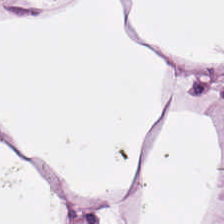H&E-stained tissue section. FFPE tissue section.
Predominant tissue: adipose tissue.
